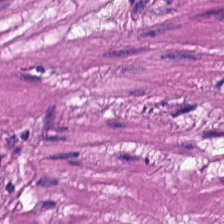Hematoxylin and eosin. 224×224 px tile.
{"tissue_type": "smooth muscle"}
